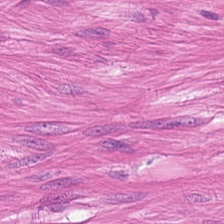20× equivalent magnification · hematoxylin-and-eosin stained section · FFPE tissue section.
Showing smooth-muscle tissue.
